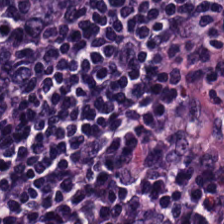0.5 microns per pixel; H&E-stained tissue section. Predominantly lymphocytes.
